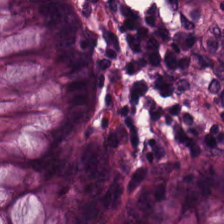WSI patch; hematoxylin-and-eosin stained section — Predominant tissue: normal colon mucosa.
